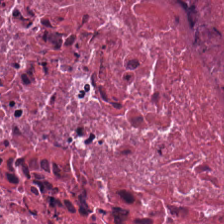Stain: hematoxylin-and-eosin stained section.
Acquisition: brightfield microscopy.
Tissue: debris.
